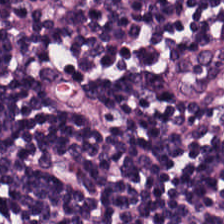H&E-stained tissue section — Q: Identify the tissue.
A: This is lymphoid infiltrate.
